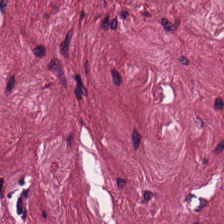H&E stain; 0.5 µm/px; 224×224 pixel tile.
The tissue type is cancer-associated stroma.
